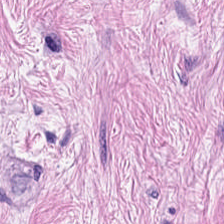Stain: H&E-stained tissue section.
Predominant tissue: cancer-associated stroma.
